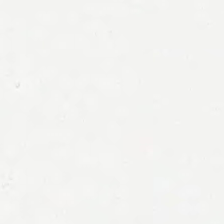Q: What is shown in this field?
A: No tissue.
